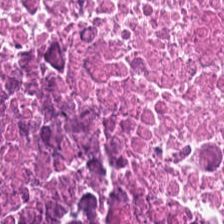Hematoxylin-and-eosin stained section — Classification — necrotic debris.
